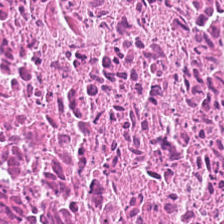H&E · 224×224 px tile.
Classification = cellular debris.
